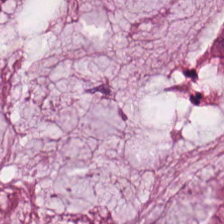Stain: H&E.
Resolution: 0.5 microns per pixel.
Classification: extracellular mucin.
